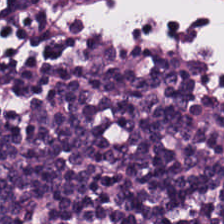Hematoxylin and eosin. Whole-slide-image patch. Classification = lymphocyte aggregate.
